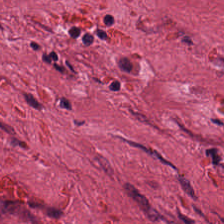WSI patch. H&E-stained tissue section.
Q: Identify the tissue.
A: The field shows desmoplastic stroma.
